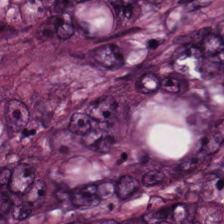H&E. Tissue class — colorectal adenocarcinoma epithelium.
